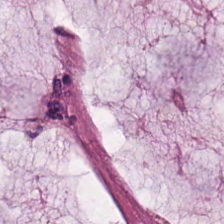Formalin-fixed paraffin-embedded section; H&E.
This patch shows mucus.
